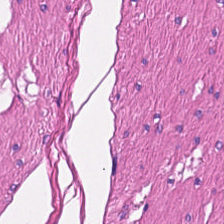H&E stain — Q: What does this patch show?
A: The field shows smooth muscle.
